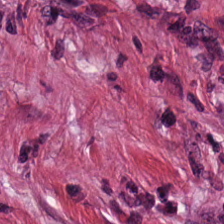Hematoxylin-and-eosin stained section. Formalin-fixed paraffin-embedded section — Tissue — tumor stroma.
